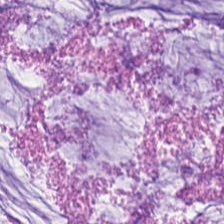H&E stain · 0.5 microns per pixel · FFPE. Showing mucin.
